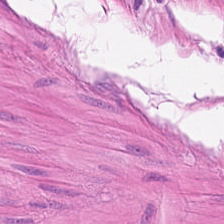H&E stain. Classification = muscularis.
